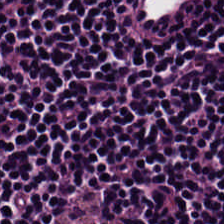Whole-slide-image patch · H&E. Q: What is the predominant tissue type?
A: It is lymphocytic infiltrate.
